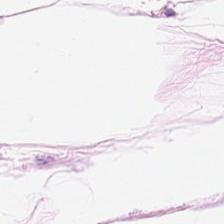Hematoxylin-and-eosin stained section. 0.5 microns per pixel. Histology — adipocytes.
